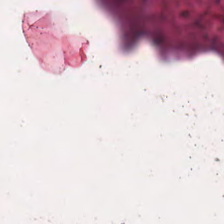{"tissue_type": "cellular debris"}
